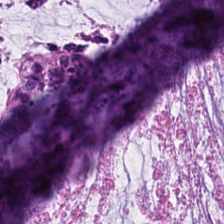224×224 px tile · 0.5 µm per pixel · hematoxylin and eosin. Impression — extracellular mucin.
